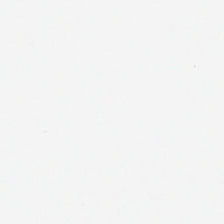Background — no tissue in this field.
